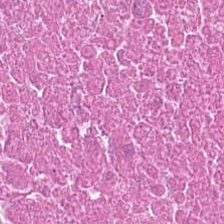H&E. Q: What does this patch show?
A: It is cellular debris.
